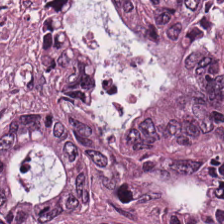Hematoxylin-and-eosin stained section.
The predominant tissue is adenocarcinoma.
